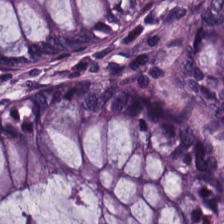FFPE. Whole-slide-image patch. H&E.
Predominantly non-neoplastic colon mucosa.
